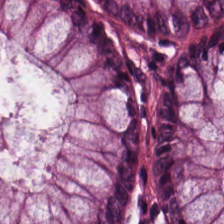Q: What is shown in this field?
A: Normal colon mucosa.
